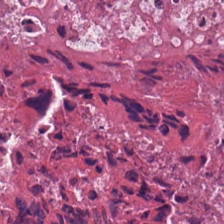Hematoxylin-and-eosin stained section. Predominantly cellular debris.
